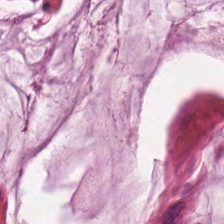H&E-stained tissue section. Showing mucus.
